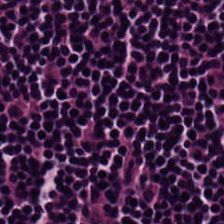H&E. The tissue here is lymphoid infiltrate.
